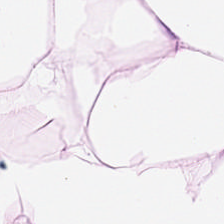Whole-slide-image patch. H&E-stained tissue section.
Fat tissue.
